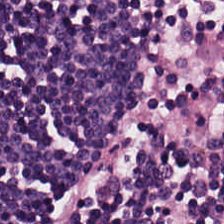Tissue = lymphoid infiltrate.
